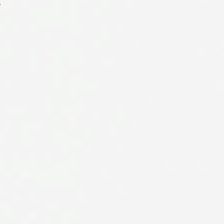The classification is background (no tissue).
